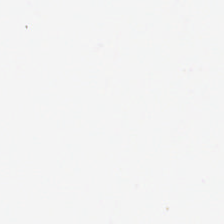Hematoxylin and eosin. Whole-slide-image patch — No tissue present; background only.
